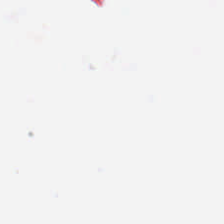The classification is no tissue.
